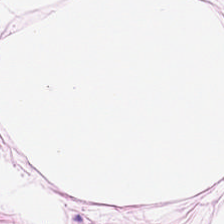Hematoxylin-and-eosin stained section.
Q: Identify the tissue.
A: The field shows adipose tissue.
